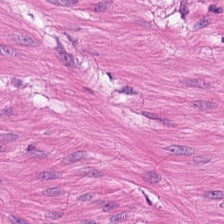Showing smooth-muscle tissue.
